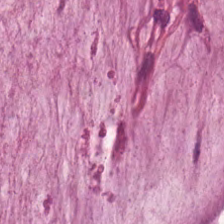Hematoxylin-and-eosin stained section — Finding → mucus.
